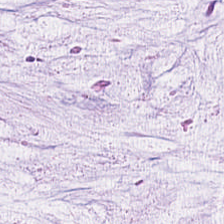H&E-stained section; the field shows mucin.
